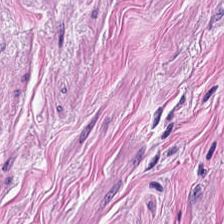Hematoxylin-and-eosin stained section. Q: What type of tissue is this?
A: The field shows muscularis.
